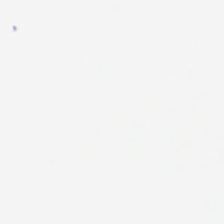H&E-stained tissue section.
The content is empty background.
